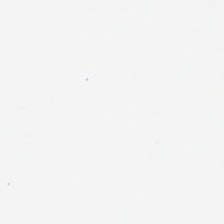Hematoxylin and eosin. Q: What is shown here?
A: This is empty background.
